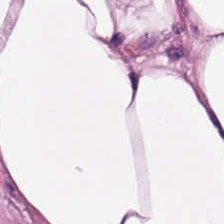Whole-slide-image patch · formalin-fixed paraffin-embedded section · H&E-stained tissue section. Q: What is the predominant tissue type?
A: Adipose.
